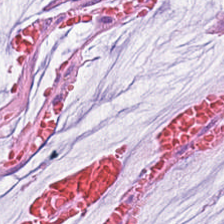Hematoxylin and eosin — Predominant tissue: extracellular mucin.
